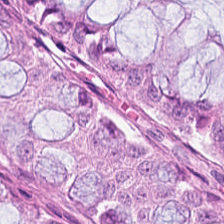Hematoxylin-and-eosin stained section. Histology → non-neoplastic colon mucosa.
